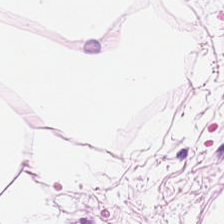H&E-stained tissue section · 0.5 µm/px. Predominantly fat tissue.
